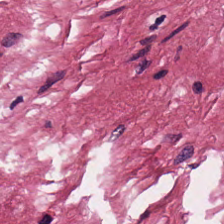This field is desmoplastic stroma.
